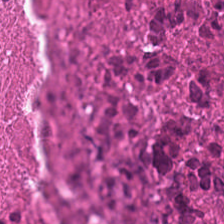H&E stain — This field is cellular debris.
